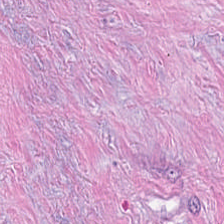Impression → desmoplastic stroma.
